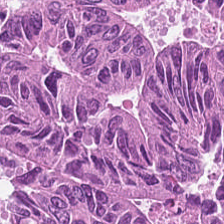Stain: H&E stain.
Tissue class: colorectal adenocarcinoma.
